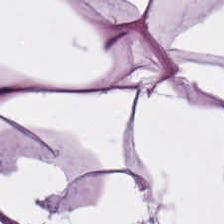0.5 µm per pixel. H&E-stained tissue section.
Tissue type = adipose.
